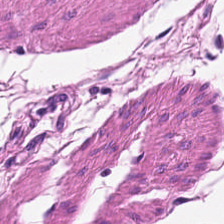Hematoxylin-and-eosin stained section; whole-slide-image patch.
Predominantly smooth-muscle tissue.
